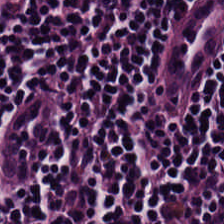Hematoxylin and eosin. Brightfield microscopy — Q: What does this patch show?
A: This is lymphoid infiltrate.
